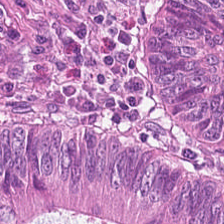H&E stain — Tissue class — colorectal adenocarcinoma epithelium.
